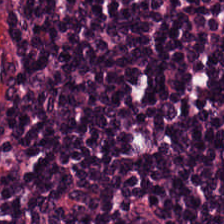FFPE · hematoxylin-and-eosin stained section. Q: What is shown in this field?
A: It is lymphocyte aggregate.
